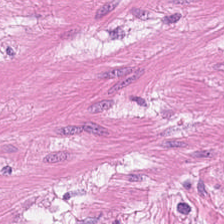Hematoxylin-and-eosin stained section. 224×224 pixel tile.
This field is smooth-muscle tissue.
